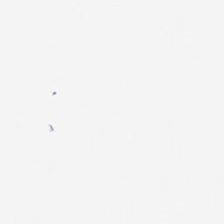20× equivalent magnification. H&E-stained tissue section. Brightfield — Histology — background.
